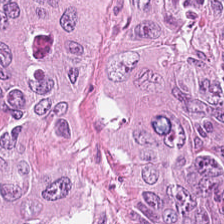H&E-stained tissue section. Tissue type = colorectal adenocarcinoma.
